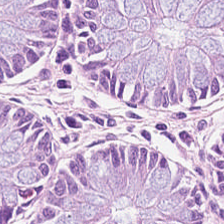WSI patch. H&E stain.
The predominant tissue is non-neoplastic colon mucosa.
